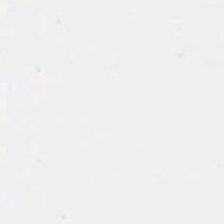Content = background.
